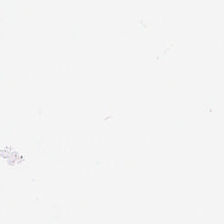Hematoxylin and eosin; brightfield — No tissue present; background only.
